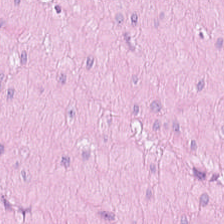H&E stain · 0.5 microns per pixel · brightfield. The tissue here is muscularis.
